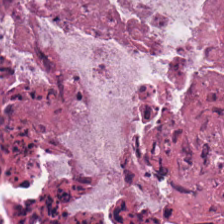The classification is cellular debris.
